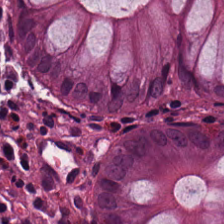Hematoxylin-and-eosin stained section.
Showing benign colonic mucosa.
